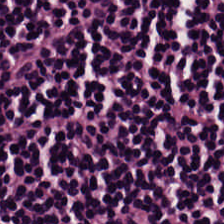The tissue here is lymphocytic infiltrate.
